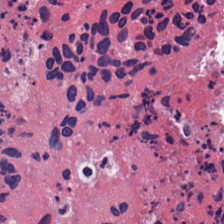Brightfield · H&E stain · 0.5 µm/px. Classification — debris.
